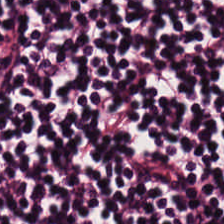Hematoxylin and eosin. Predominant tissue: lymphocytes.
